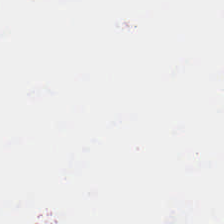H&E · FFPE tissue section. Content: empty background.
